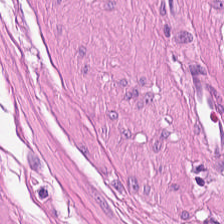H&E-stained tissue section.
The tissue here is muscularis.
